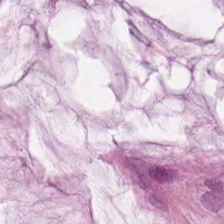Hematoxylin-and-eosin stained section.
Showing mucus.
